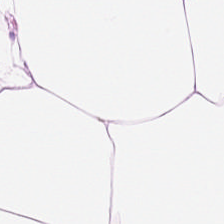Hematoxylin and eosin. Whole-slide-image patch.
Adipose.
